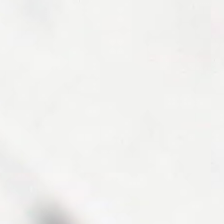Empty field — empty background.
